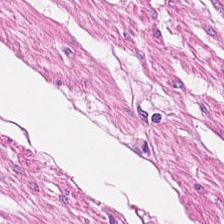Hematoxylin-and-eosin section: smooth-muscle tissue.
